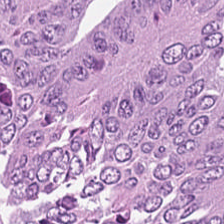Q: Classify this patch.
A: It is malignant epithelium.
